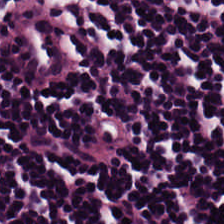Tissue type — lymphocytic infiltrate.
